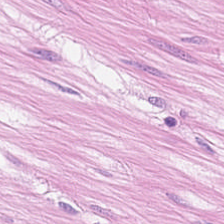Stain: H&E-stained tissue section.
Resolution: 20× equivalent magnification.
Tissue type: muscularis.
